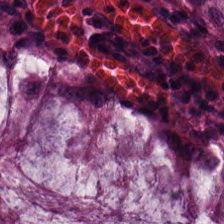H&E-stained tissue section. Tissue — non-neoplastic colon mucosa.
